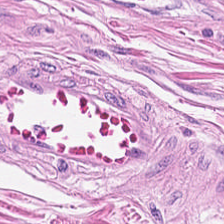H&E · 224×224 px patch — Histology — muscularis.
